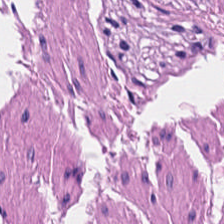H&E; WSI patch — Tissue: muscularis.
